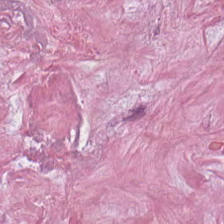WSI patch. Formalin-fixed paraffin-embedded section. Hematoxylin-and-eosin stained section. Showing desmoplastic stroma.
